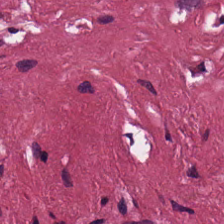H&E-stained tissue section.
Desmoplastic stroma.
